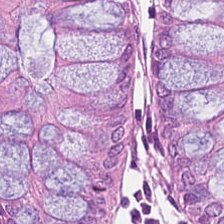H&E-stained tissue section — Tissue — normal colon mucosa.
